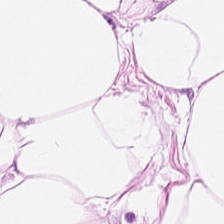H&E-stained tissue section. Histology — fat tissue.
